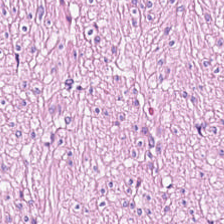Tissue class = smooth muscle.
